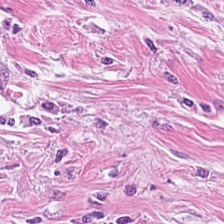{"tissue_type": "tumor-associated stroma"}
